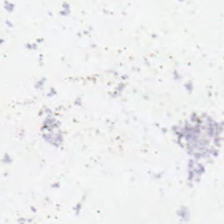224×224 pixel tile · hematoxylin-and-eosin stained section. Impression — background (no tissue).
